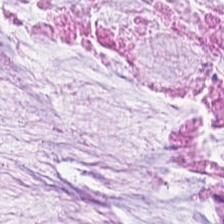Hematoxylin-and-eosin stained section.
Q: Classify this patch.
A: This is mucin.
